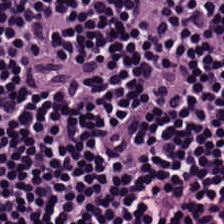0.5 µm/px · H&E stain — This field is lymphocytes.
